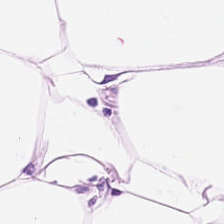Hematoxylin and eosin. Adipose tissue.
